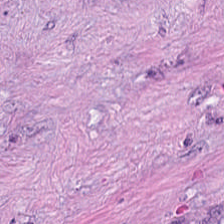H&E — cancer-associated stroma.
